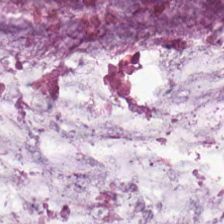H&E stain; formalin-fixed paraffin-embedded section — {"tissue_type": "extracellular mucin"}
